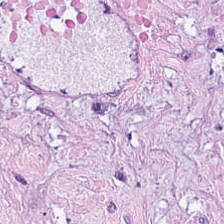Formalin-fixed paraffin-embedded section · H&E stain — Q: What is shown in this field?
A: This is tumor stroma.
